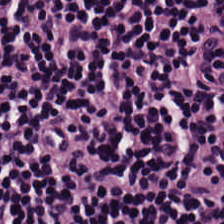Tissue type: lymphocytes.
